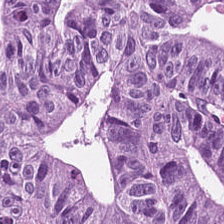H&E. Brightfield.
Histology → malignant epithelium.
